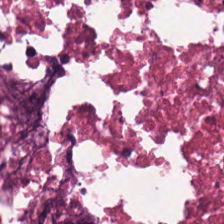Stain: hematoxylin and eosin.
Tissue class: cellular debris.
